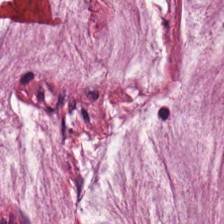H&E stain.
Q: What is the predominant tissue type?
A: Extracellular mucin.
